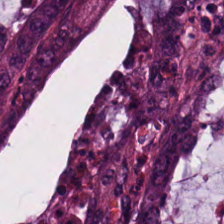Stain: hematoxylin and eosin.
Tissue type: malignant epithelium.
